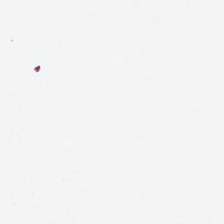Stain: hematoxylin-and-eosin stained section.
Field content: background.
